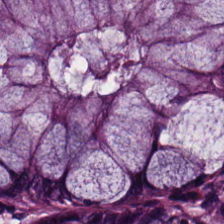Tissue: normal colonic mucosa.
